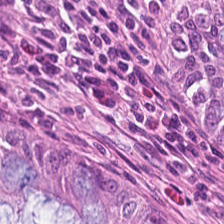The tissue here is normal colonic mucosa.
